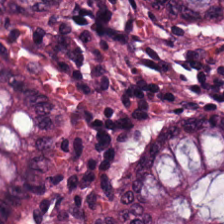Histology — non-neoplastic colon mucosa.
